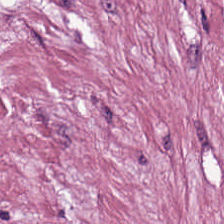Hematoxylin-and-eosin stained section. Histology → tumor-associated stroma.
